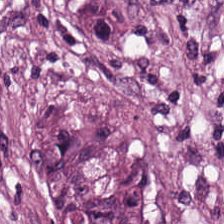H&E stain · brightfield — Classification — desmoplastic stroma.
